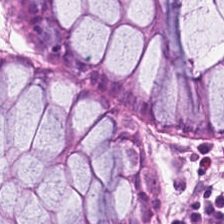Stain: hematoxylin-and-eosin stained section.
Tissue class: normal colonic mucosa.
